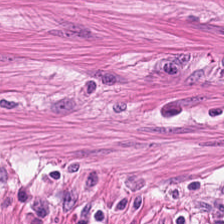H&E stain.
The tissue class is muscularis.
